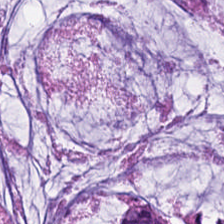H&E stain — The predominant tissue is mucus.
